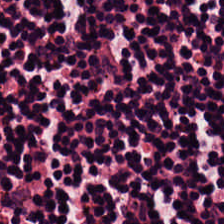H&E-stained tissue section showing lymphocyte aggregate.
